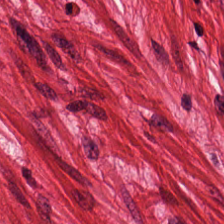Brightfield · 224×224 px tile · hematoxylin and eosin — This field is smooth-muscle tissue.
